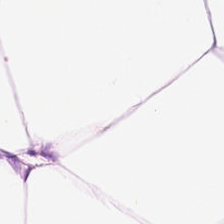Hematoxylin-and-eosin stained section. Q: Identify the tissue.
A: Adipose.
